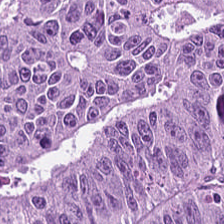Formalin-fixed paraffin-embedded section. Hematoxylin-and-eosin stained section — Q: What is the predominant tissue type?
A: Colorectal adenocarcinoma.
